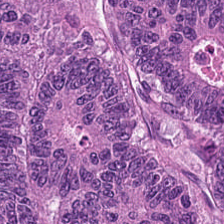Q: What is shown here?
A: It is malignant epithelium.
